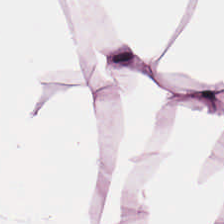Stain: H&E.
Tissue: adipocytes.
